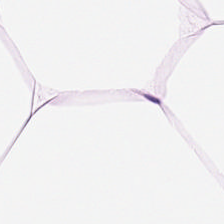Q: What type of tissue is this?
A: The field shows fat tissue.
